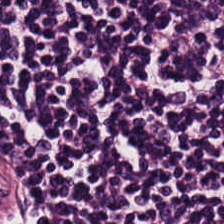0.5 µm/px · 224×224 px patch · H&E — Lymphocytes.
